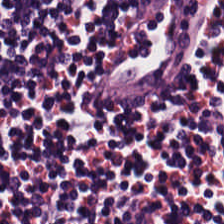{"tissue_type": "lymphocytes"}
